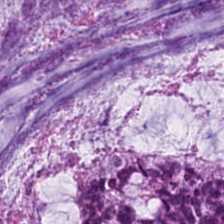Stain: H&E stain.
Tile size: 224×224 px patch.
Preparation: FFPE tissue section.
Tissue class: extracellular mucin.
